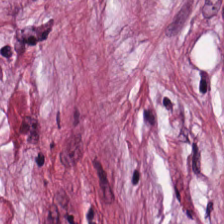Tissue: desmoplastic stroma.
